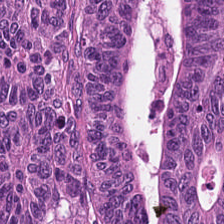Hematoxylin-and-eosin section: tumor epithelium.
